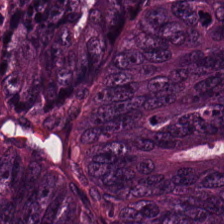Q: What does this patch show?
A: It is colorectal adenocarcinoma epithelium.
